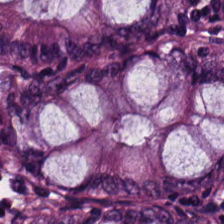H&E stain; WSI patch.
Predominant tissue = normal colon mucosa.
